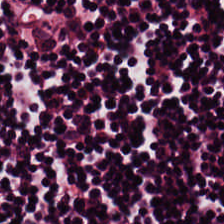Hematoxylin-and-eosin stained section; FFPE; 0.5 µm/px — {"tissue_type": "lymphocytes"}
